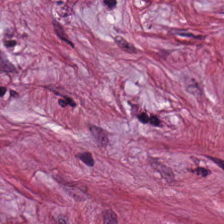The tissue type is tumor stroma.
